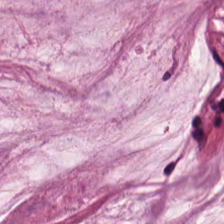Stain: hematoxylin and eosin.
Tissue: extracellular mucin.
